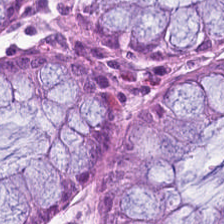Formalin-fixed paraffin-embedded section · 0.5 µm per pixel · hematoxylin-and-eosin stained section — Showing non-neoplastic colon mucosa.
